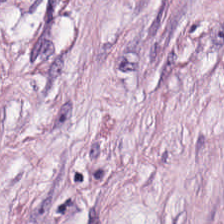H&E · brightfield microscopy. Histology — tumor-associated stroma.
